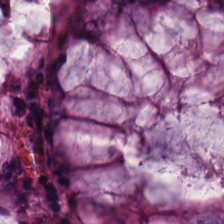Hematoxylin-and-eosin section: normal colonic mucosa.
